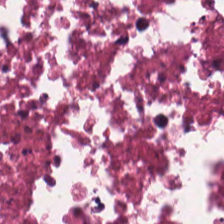Tissue: debris.
